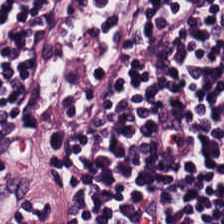H&E stain. Lymphoid infiltrate.
